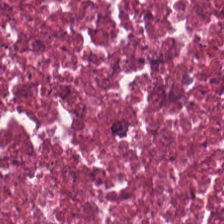H&E-stained tissue section. 0.5 microns per pixel.
The tissue here is necrotic debris.
